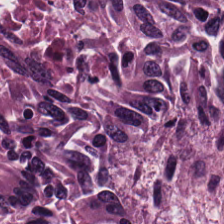Stain: hematoxylin-and-eosin stained section.
Preparation: FFPE tissue section.
Predominant tissue: colorectal adenocarcinoma.
